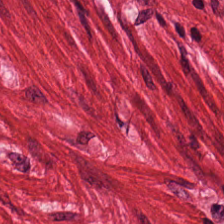Brightfield microscopy; FFPE; H&E — The predominant tissue is smooth muscle.
